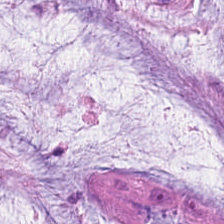0.5 microns per pixel · WSI patch · H&E-stained tissue section.
This patch shows mucus.
